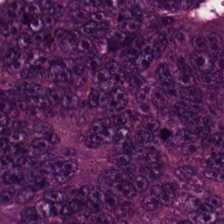20× equivalent magnification · H&E stain — The tissue class is adenocarcinoma.
